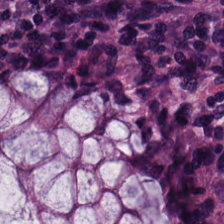Hematoxylin-and-eosin stained section — Classification = benign colonic mucosa.
